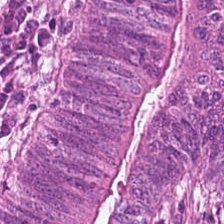Formalin-fixed paraffin-embedded section; H&E-stained tissue section. This field is adenocarcinoma.
